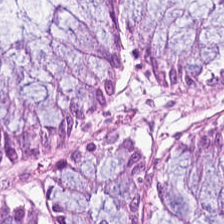Hematoxylin-and-eosin stained section. Predominant tissue = normal colon mucosa.
